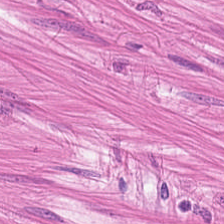H&E-stained tissue section. Finding — smooth-muscle tissue.
